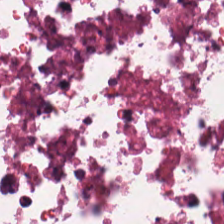H&E stain — The predominant tissue is necrotic debris.
